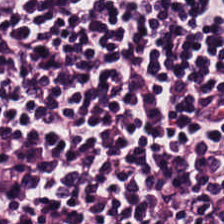H&E.
Predominantly lymphocytes.
